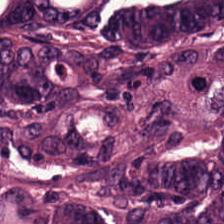H&E-stained tissue section. Finding → colorectal adenocarcinoma.
